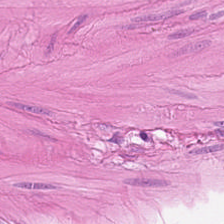H&E — Q: What is the predominant tissue type?
A: This is smooth-muscle tissue.
